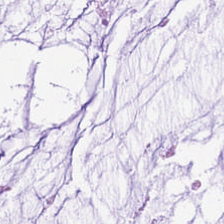H&E · 0.5 microns per pixel · formalin-fixed paraffin-embedded section. This field is mucus.
